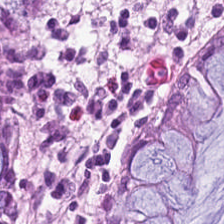224×224 px patch; hematoxylin and eosin; WSI patch.
Q: What type of tissue is this?
A: The field shows normal colon mucosa.
